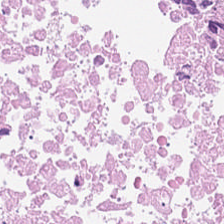20× equivalent magnification. H&E-stained tissue section. 224×224 px tile.
Finding — cellular debris.
